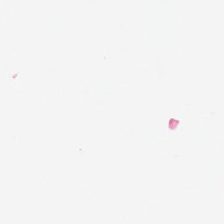Hematoxylin-and-eosin stained section; 224×224 px patch. Field content: background.
